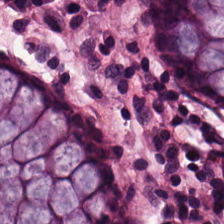H&E — {"tissue_type": "benign colonic mucosa"}
